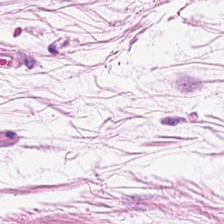Formalin-fixed paraffin-embedded section. H&E-stained tissue section. 20× equivalent magnification. Q: What type of tissue is this?
A: Adipose tissue.
